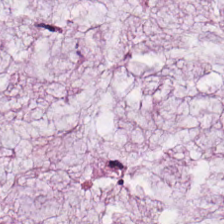0.5 microns per pixel. Brightfield. Hematoxylin-and-eosin stained section — {"tissue_type": "extracellular mucin"}
